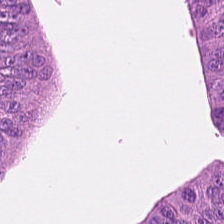Brightfield microscopy. H&E-stained tissue section — Tissue type = adenocarcinoma.
